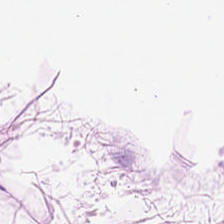Adipose tissue.
